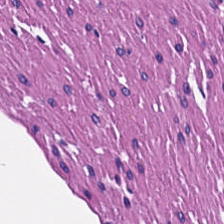224×224 px patch; hematoxylin-and-eosin stained section. This patch shows smooth muscle.
